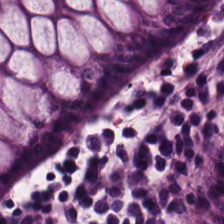Hematoxylin-and-eosin section: normal colon mucosa.
